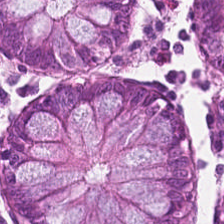Formalin-fixed paraffin-embedded section; hematoxylin-and-eosin stained section. This patch shows normal colon mucosa.
